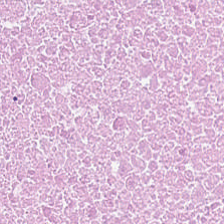Hematoxylin and eosin — This field is debris.
